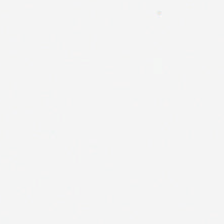H&E stain.
Content = background.
